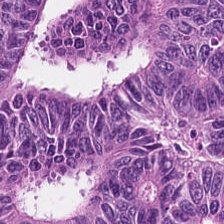0.5 µm per pixel; H&E-stained tissue section — Tissue class — colorectal adenocarcinoma.
